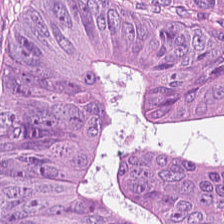FFPE tissue section; 224×224 pixel tile; hematoxylin-and-eosin stained section — Malignant epithelium.
